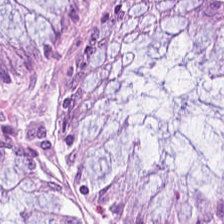Brightfield microscopy; 224×224 px patch; H&E. The tissue class is normal colon mucosa.
